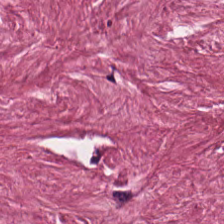H&E patch showing tumor stroma.
